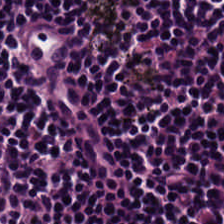Brightfield microscopy. H&E-stained tissue section. Q: Classify this patch.
A: This is lymphocytes.
